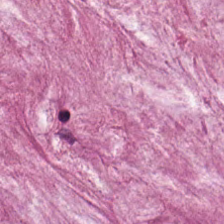Brightfield microscopy; 0.5 µm per pixel; hematoxylin and eosin.
This field is extracellular mucin.
